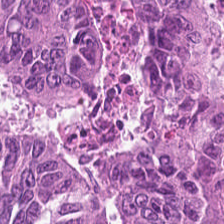Hematoxylin-and-eosin stained section. 0.5 µm per pixel.
Predominant tissue = tumor epithelium.
